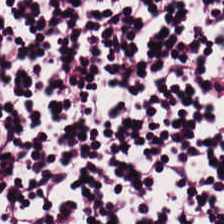Hematoxylin and eosin — Finding → lymphocytes.
